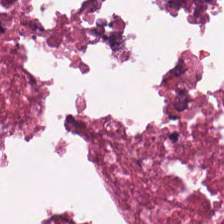Hematoxylin and eosin. FFPE. Histology — necrotic debris.
